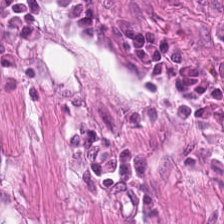Q: What is the predominant tissue type?
A: The field shows smooth muscle.
